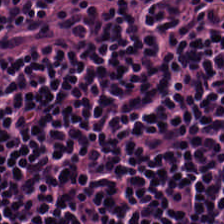Brightfield; H&E. Impression → lymphoid infiltrate.
